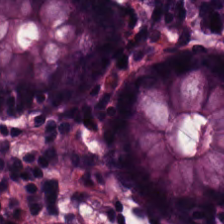Tissue — normal colonic mucosa.
